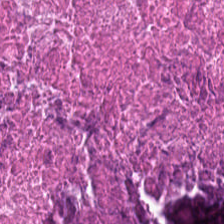Stain: H&E stain.
Tile size: 224×224 pixel tile.
Tissue type: necrotic debris.
